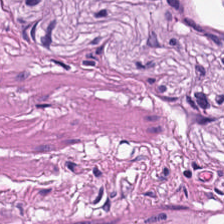The predominant tissue is smooth muscle.
